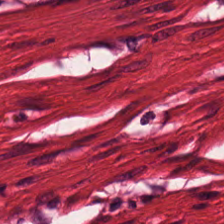224×224 px tile; hematoxylin-and-eosin stained section. Showing muscularis.
